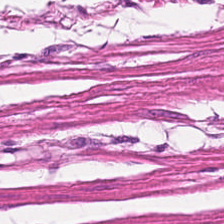Formalin-fixed paraffin-embedded section · H&E. The classification is muscularis.
